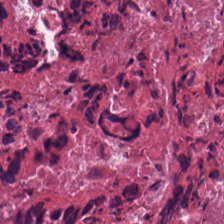H&E · 224×224 pixel tile — This patch shows cellular debris.
